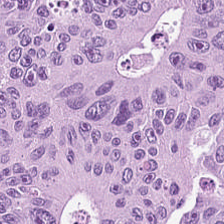FFPE. H&E — Q: What does this patch show?
A: This is adenocarcinoma.
